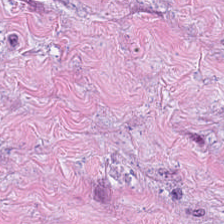This patch shows tumor stroma.
